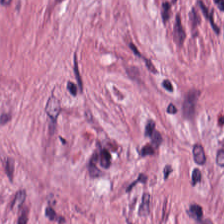H&E stain. This field is cancer-associated stroma.
